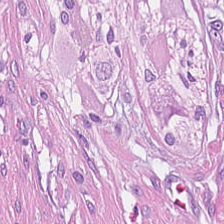Whole-slide-image patch; H&E. The tissue here is cancer-associated stroma.
